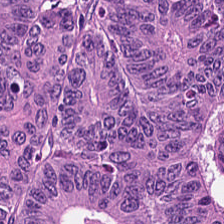0.5 µm per pixel; FFPE; hematoxylin and eosin — Predominant tissue — colorectal adenocarcinoma.
